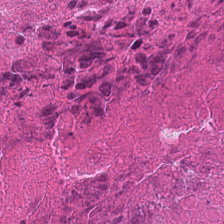H&E stain; 0.5 µm/px. Predominantly cellular debris.
